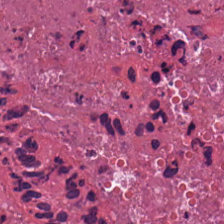224×224 px tile · hematoxylin-and-eosin stained section · FFPE tissue section. This field is cellular debris.
